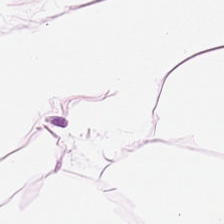FFPE tissue section; H&E; 0.5 µm/px.
This field is adipose tissue.
